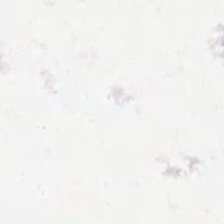Background — no tissue in this field.
